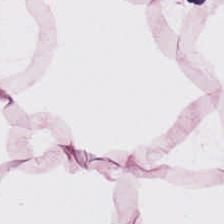Finding — adipose.
